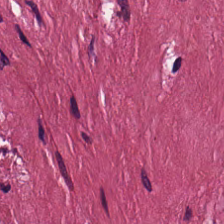224×224 px tile; H&E stain. Tissue class — desmoplastic stroma.
